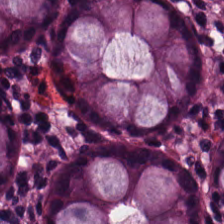Stain: hematoxylin and eosin.
Preparation: FFPE tissue section.
Tissue class: non-neoplastic colon mucosa.
